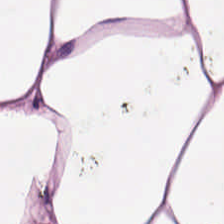Stain: hematoxylin and eosin.
Tissue class: adipose tissue.
